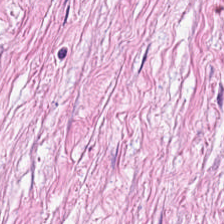Stain: hematoxylin and eosin.
Classification: tumor-associated stroma.
